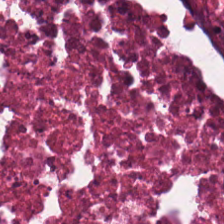Q: What type of tissue is this?
A: The field shows necrotic debris.
